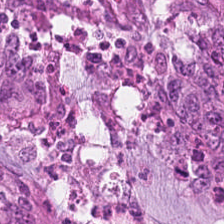0.5 µm/px. Hematoxylin-and-eosin stained section. Whole-slide-image patch. This field is colorectal adenocarcinoma.
